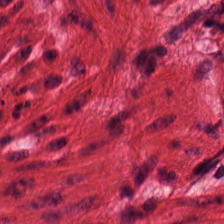H&E stain. The predominant tissue is smooth-muscle tissue.
